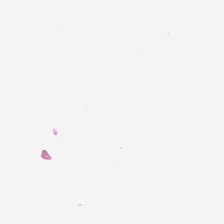Hematoxylin-and-eosin stained section · brightfield · 20× equivalent magnification.
{"content": "background (no tissue)"}
